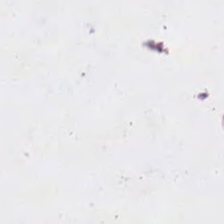Hematoxylin and eosin. No tissue present; background only.
